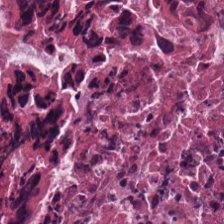0.5 microns per pixel · hematoxylin-and-eosin stained section · brightfield — Q: Identify the tissue.
A: The field shows debris.
